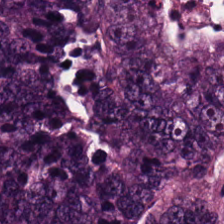Hematoxylin and eosin.
{"tissue_type": "adenocarcinoma"}
